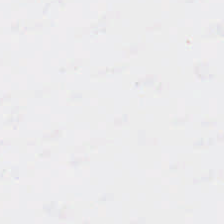This field is background (no tissue).
